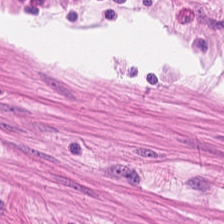H&E — The tissue is muscularis.
